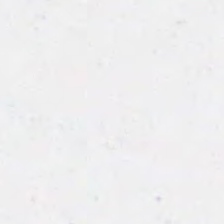H&E-stained tissue section; brightfield microscopy. Classification: background (no tissue).
